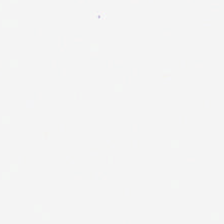Hematoxylin and eosin. This field is background (no tissue).
